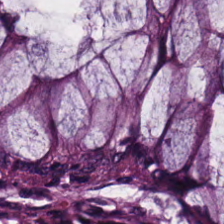Q: What type of tissue is this?
A: It is normal colonic mucosa.
